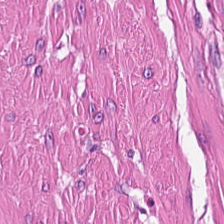224×224 pixel tile · H&E. The tissue here is muscularis.
